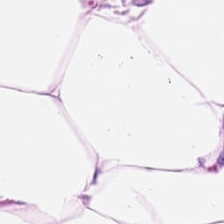H&E-stained tissue section; 0.5 µm per pixel — Q: What is the predominant tissue type?
A: The field shows adipocytes.
